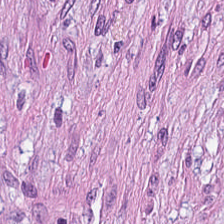Formalin-fixed paraffin-embedded section. H&E.
{"tissue_type": "tumor-associated stroma"}
